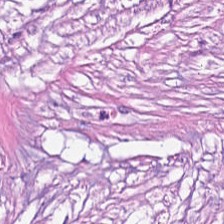224×224 px tile; 0.5 microns per pixel; hematoxylin-and-eosin stained section. This field is tumor stroma.
